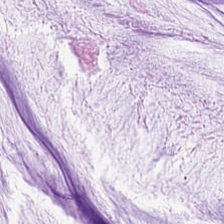Impression → mucus.
